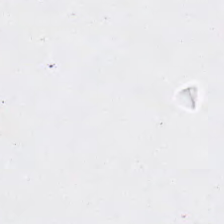H&E. Field content — background (no tissue).
